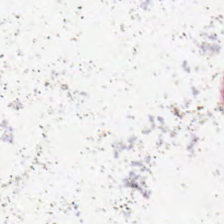Impression → no tissue.
